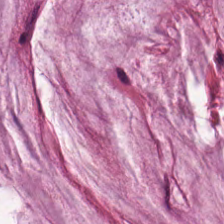Stain: H&E stain.
Tissue: extracellular mucin.
